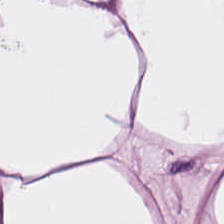Whole-slide-image patch. H&E stain — This patch shows adipose tissue.
